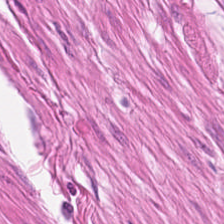H&E-stained tissue section.
Q: What tissue type is shown here?
A: This is smooth-muscle tissue.
